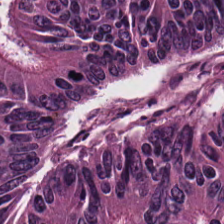Hematoxylin and eosin. The predominant tissue is colorectal adenocarcinoma epithelium.
